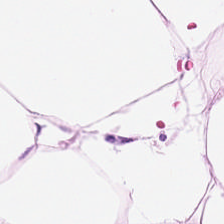This patch shows adipose.
